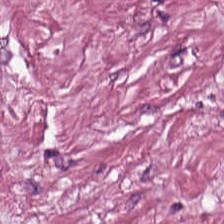Stain: hematoxylin and eosin.
Tissue class: cancer-associated stroma.
